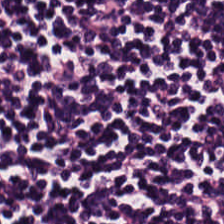Hematoxylin-and-eosin stained section. Finding — lymphocytes.
